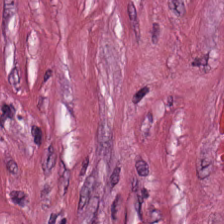Stain: H&E-stained tissue section.
Predominant tissue: desmoplastic stroma.
